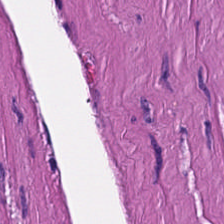H&E patch showing muscularis.
